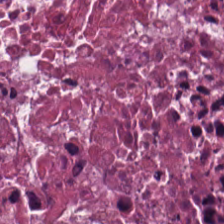H&E.
This field is cellular debris.
